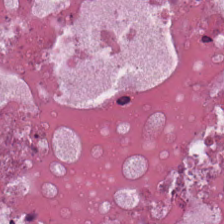FFPE; hematoxylin and eosin; 0.5 µm/px. {"tissue_type": "necrotic debris"}
